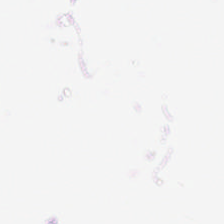H&E-stained tissue section. Formalin-fixed paraffin-embedded section — Histology — background.
